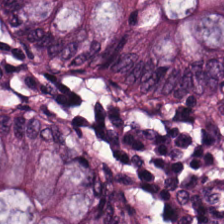{"tissue_type": "normal colon mucosa"}
